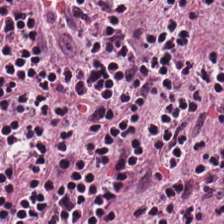H&E patch showing lymphocytes.
